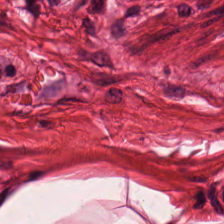WSI patch; hematoxylin and eosin — Predominant tissue: muscularis.
